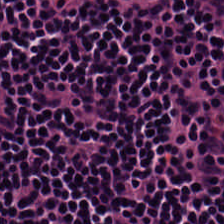Hematoxylin-and-eosin stained section. Showing lymphocytic infiltrate.
